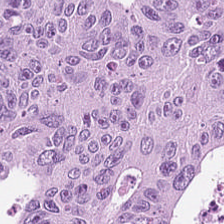Hematoxylin-and-eosin stained section; FFPE tissue section.
Histology → malignant epithelium.
